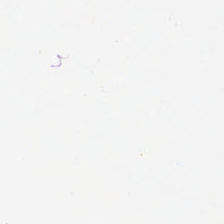Hematoxylin and eosin — No tissue present; background only.
